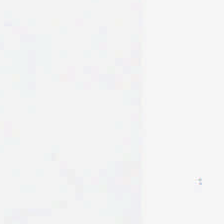Hematoxylin and eosin — Background (no tissue).
